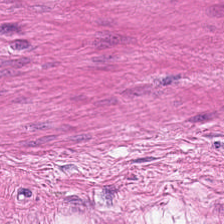Hematoxylin-and-eosin stained section; 0.5 µm per pixel; FFPE tissue section.
Showing smooth muscle.
